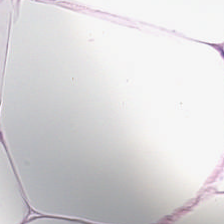H&E-stained tissue section. Adipocytes.
